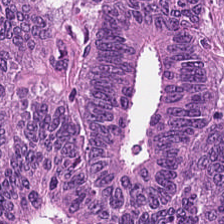H&E-stained tissue section; FFPE tissue section.
This field is adenocarcinoma.
